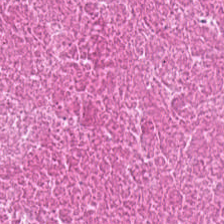Hematoxylin and eosin.
Histology → necrotic debris.
